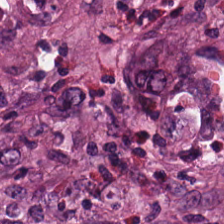The predominant tissue is tumor-associated stroma.
